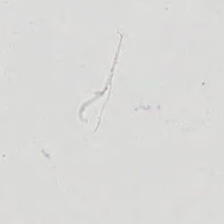Hematoxylin-and-eosin stained section — Empty field — empty background.
